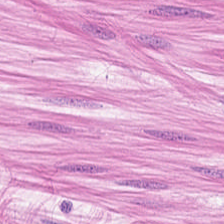This field is smooth muscle.
